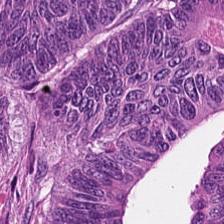224×224 px tile · hematoxylin-and-eosin stained section. This field is colorectal adenocarcinoma.
